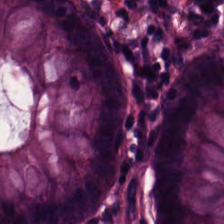Hematoxylin and eosin.
Predominant tissue — benign colonic mucosa.
